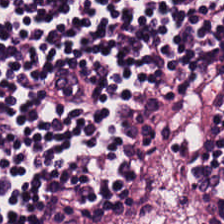Whole-slide-image patch · hematoxylin and eosin.
{"tissue_type": "lymphocytic infiltrate"}
